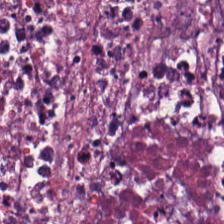WSI patch; 224×224 px patch; H&E stain. {"tissue_type": "necrotic debris"}
